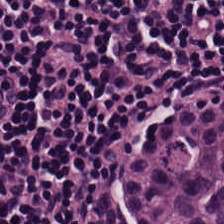H&E.
Lymphocytes.
